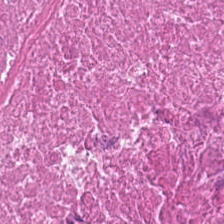0.5 microns per pixel; H&E-stained tissue section — Q: What tissue is shown?
A: This is debris.
